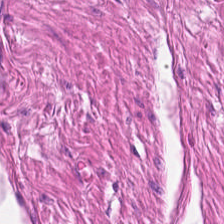224×224 px tile. Hematoxylin-and-eosin stained section.
Classification = smooth muscle.
